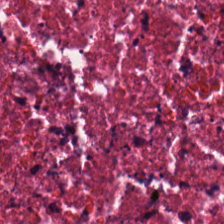The classification is cellular debris.
